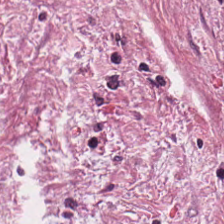H&E stain · 224×224 pixel tile.
The tissue class is desmoplastic stroma.
